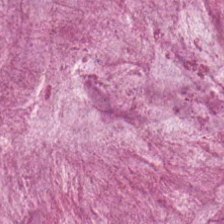H&E-stained tissue section — Q: What tissue is shown?
A: The field shows mucin.
